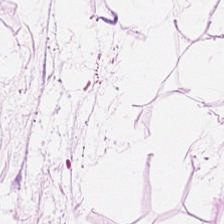H&E. This field is adipocytes.
